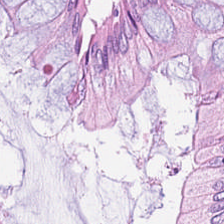224×224 px tile · hematoxylin-and-eosin stained section.
Normal colon mucosa.
